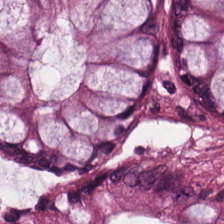H&E-stained tissue section.
Predominantly benign colonic mucosa.
